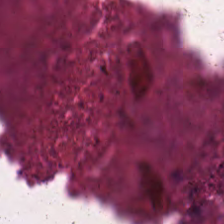H&E stain; 224×224 pixel tile.
Showing cellular debris.
